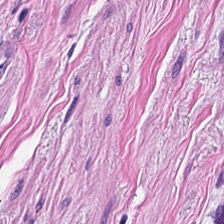224×224 px patch; H&E stain — Showing smooth-muscle tissue.
